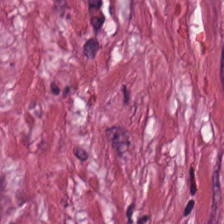H&E stain — Tissue: tumor stroma.
